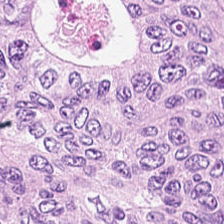Hematoxylin-and-eosin stained section. The predominant tissue is adenocarcinoma.
